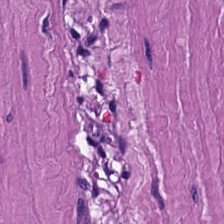Hematoxylin and eosin · 224×224 px patch · whole-slide-image patch. Tissue class = smooth-muscle tissue.
